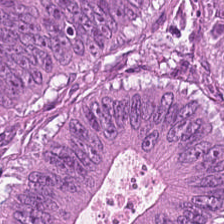H&E stain.
Predominant tissue: tumor epithelium.
